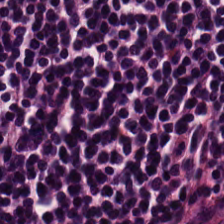Hematoxylin-and-eosin stained section.
{"tissue_type": "lymphoid infiltrate"}
